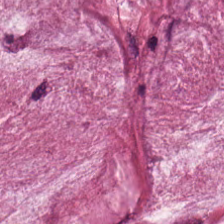H&E.
This patch shows mucus.
